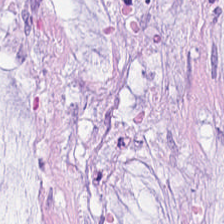H&E stain — Tissue type = extracellular mucin.
